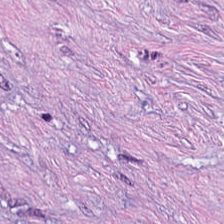H&E. Predominantly tumor-associated stroma.
